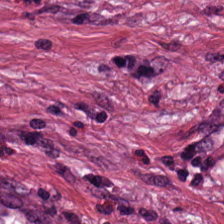Hematoxylin-and-eosin stained section — Tissue class: tumor stroma.
